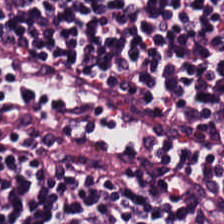H&E-stained tissue section · 0.5 µm/px. Predominantly lymphocytes.
